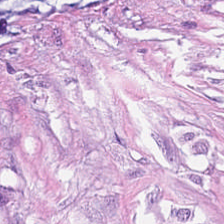0.5 µm/px · brightfield · hematoxylin-and-eosin stained section.
Q: What tissue is shown?
A: Desmoplastic stroma.
